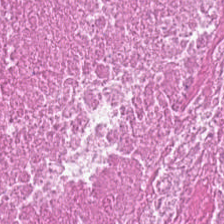Hematoxylin-and-eosin stained section — The predominant tissue is debris.
